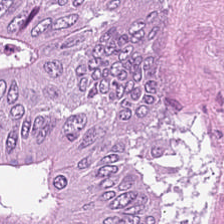The tissue here is adenocarcinoma.
